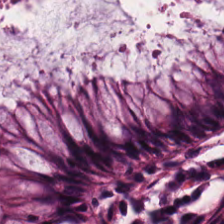Q: What type of tissue is this?
A: Normal colonic mucosa.
